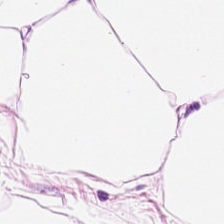224×224 px tile. H&E-stained tissue section. 0.5 µm per pixel — Showing adipose tissue.
